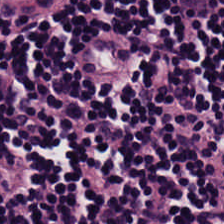Hematoxylin-and-eosin stained section · 224×224 px tile.
Showing lymphoid infiltrate.
